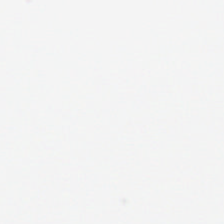H&E-stained tissue section. FFPE.
The field content is no tissue.
